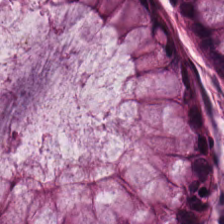This field is benign colonic mucosa.
